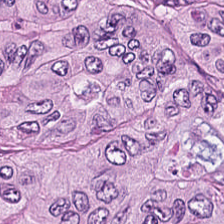FFPE tissue section. H&E-stained tissue section.
Q: What does this patch show?
A: The field shows colorectal adenocarcinoma.
